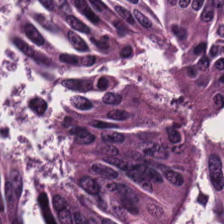{"tissue_type": "colorectal adenocarcinoma"}
